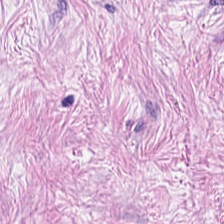H&E-stained tissue section showing desmoplastic stroma.
